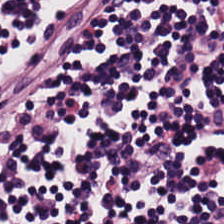H&E-stained tissue section. This patch shows lymphocyte aggregate.
